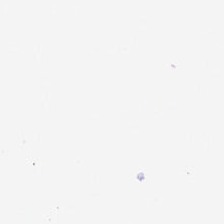0.5 microns per pixel. H&E. Formalin-fixed paraffin-embedded section.
Background.
